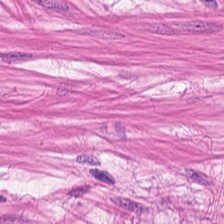Hematoxylin-and-eosin stained section — The predominant tissue is muscularis.
